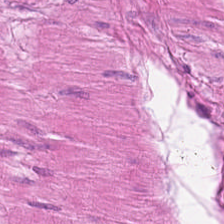Muscularis.
